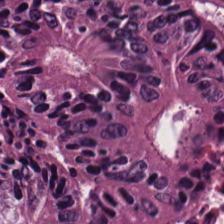224×224 px tile; whole-slide-image patch; H&E stain — Tissue class — malignant epithelium.
